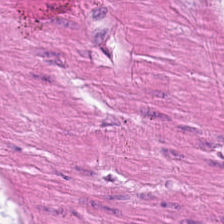Hematoxylin and eosin.
Tissue class: muscularis.
